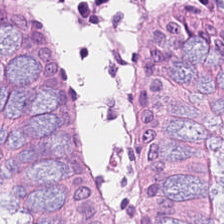H&E stain. Formalin-fixed paraffin-embedded section — Q: Identify the tissue.
A: This is normal colon mucosa.
